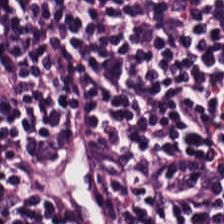Hematoxylin and eosin.
Tissue class: lymphoid infiltrate.
